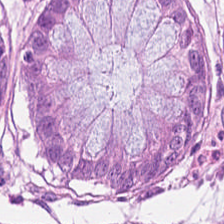Hematoxylin-and-eosin stained section.
Normal colon mucosa.
